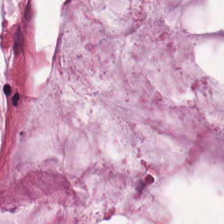{"tissue_type": "mucin"}
